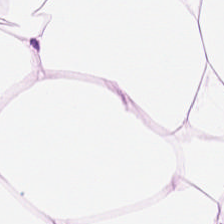H&E-stained tissue section · 224×224 pixel tile. This field is adipocytes.
